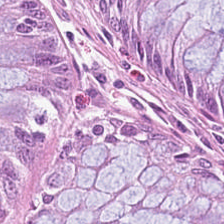Hematoxylin-and-eosin stained section.
Q: Classify this patch.
A: Non-neoplastic colon mucosa.
